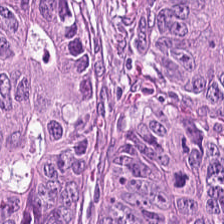Tissue = adenocarcinoma.
